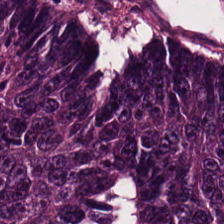Histology → colorectal adenocarcinoma epithelium.
